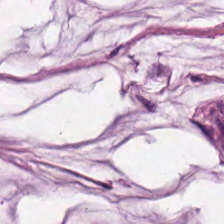H&E-stained tissue section. Extracellular mucin.
